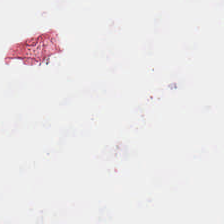Background.
